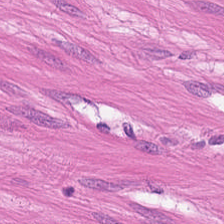Whole-slide-image patch · formalin-fixed paraffin-embedded section · H&E-stained tissue section — The predominant tissue is muscularis.
